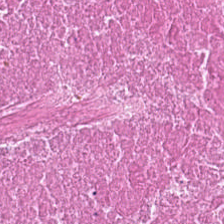H&E; 224×224 px tile.
Predominant tissue — cellular debris.
